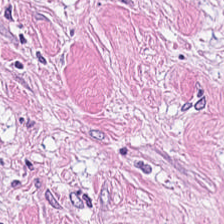Hematoxylin and eosin. The classification is tumor stroma.
